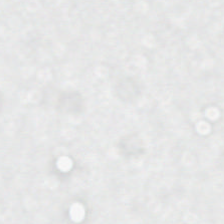Impression → background (no tissue).
